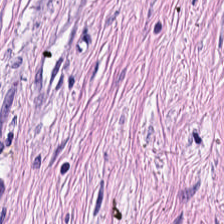Hematoxylin and eosin.
Predominantly desmoplastic stroma.
